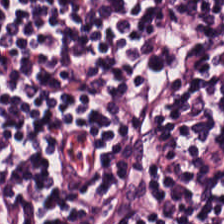H&E-stained tissue section. The tissue here is lymphocyte aggregate.
